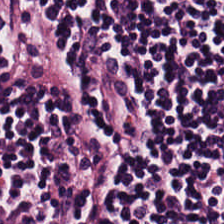Hematoxylin and eosin — Q: What is shown here?
A: This is lymphocytes.
